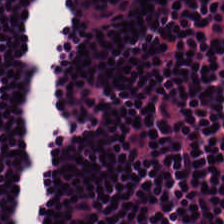H&E stain — This patch shows lymphocytic infiltrate.
